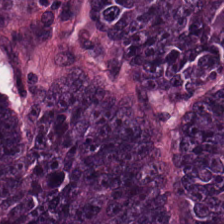Brightfield microscopy; hematoxylin and eosin — Classification — malignant epithelium.
